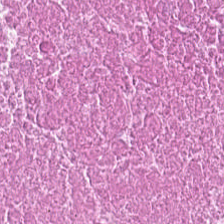Stain: H&E stain.
Acquisition: brightfield microscopy.
Resolution: 0.5 microns per pixel.
Classification: necrotic debris.
